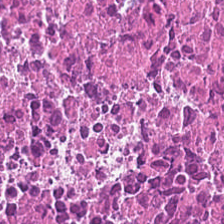Hematoxylin-and-eosin stained section.
Q: Classify this patch.
A: This is debris.
